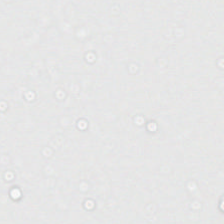Hematoxylin-and-eosin stained section. Field content — background (no tissue).
